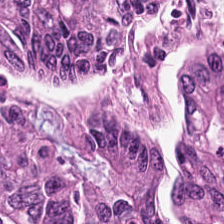H&E stain. Whole-slide-image patch. Formalin-fixed paraffin-embedded section — Showing colorectal adenocarcinoma epithelium.
